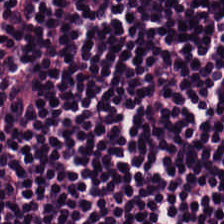Hematoxylin-and-eosin stained section; brightfield microscopy. Tissue = lymphocytes.
